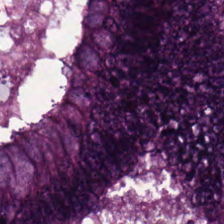Stain: H&E.
Acquisition: brightfield microscopy.
Tissue type: adenocarcinoma.
